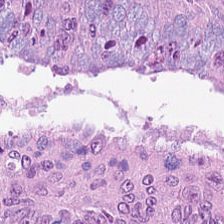Formalin-fixed paraffin-embedded section. H&E stain. 224×224 px tile.
{"tissue_type": "malignant epithelium"}
